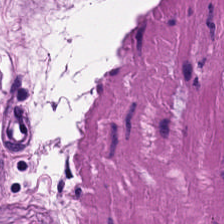Brightfield; H&E-stained tissue section — Finding — muscularis.
